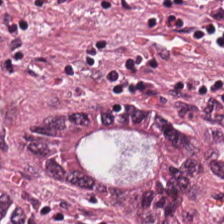Malignant epithelium.
